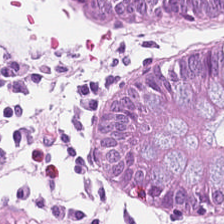H&E-stained tissue section; 224×224 pixel tile. Impression → non-neoplastic colon mucosa.
